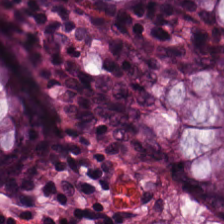H&E stain — {"tissue_type": "non-neoplastic colon mucosa"}
